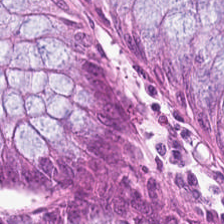H&E.
The tissue here is normal colonic mucosa.
